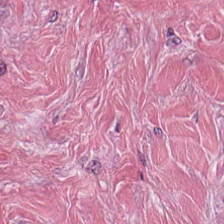Stain: hematoxylin-and-eosin stained section.
Predominant tissue: cancer-associated stroma.
